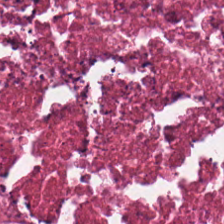H&E.
Q: What type of tissue is this?
A: The field shows cellular debris.
